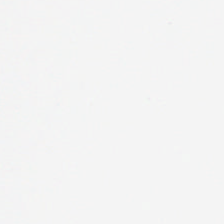Background (no tissue).
